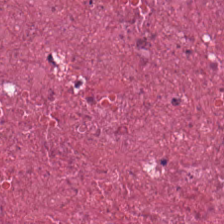Hematoxylin and eosin. This patch shows necrotic debris.
